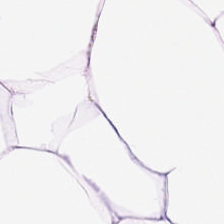H&E stain — Finding — fat tissue.
